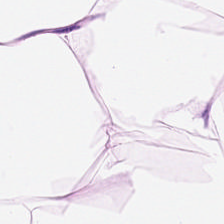Stain: hematoxylin and eosin.
Classification: adipocytes.
